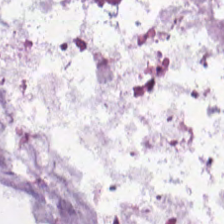Hematoxylin-and-eosin stained section. Histology — mucus.
